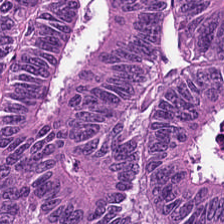Whole-slide-image patch; H&E stain — Colorectal adenocarcinoma epithelium.
